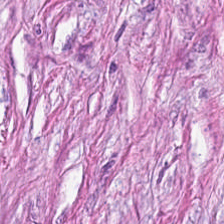Hematoxylin and eosin.
This patch shows cancer-associated stroma.
